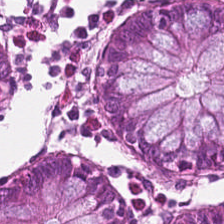Stain: hematoxylin and eosin.
Predominant tissue: normal colonic mucosa.
